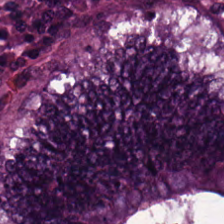H&E-stained tissue section — Classification = tumor epithelium.
